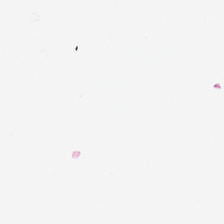Hematoxylin-and-eosin stained section. This field is background (no tissue).
